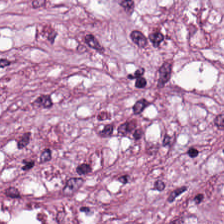H&E-stained tissue section.
This patch shows cancer-associated stroma.
